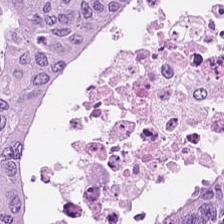H&E · whole-slide-image patch · formalin-fixed paraffin-embedded section — The predominant tissue is tumor epithelium.
